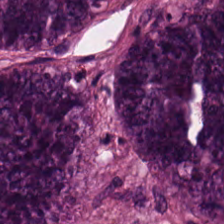{"tissue_type": "adenocarcinoma"}
